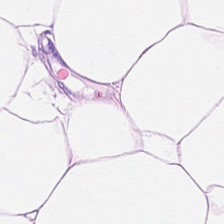Tissue class: adipose.
